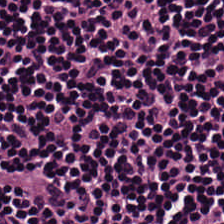Hematoxylin and eosin. 0.5 µm/px — This patch shows lymphocytes.
